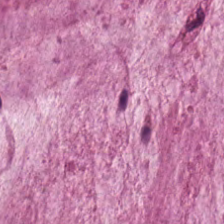Hematoxylin-and-eosin stained section · FFPE.
Tissue class = mucus.
